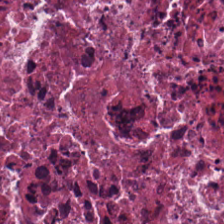Tissue = necrotic debris.
